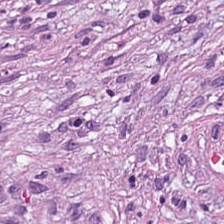H&E. Brightfield. Showing cancer-associated stroma.
